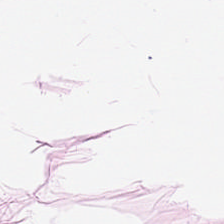Hematoxylin-and-eosin stained section.
The classification is adipose tissue.
